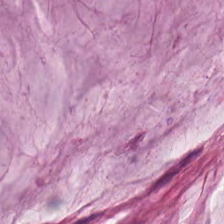H&E stain; 224×224 px tile.
Finding — mucin.
